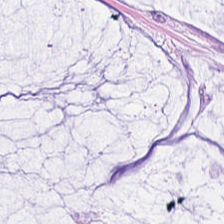H&E stain; brightfield — This field is extracellular mucin.
